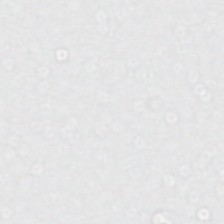224×224 px tile. Hematoxylin and eosin — This patch shows background.
